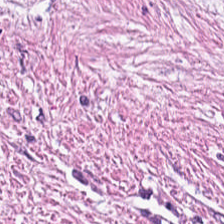Stain: hematoxylin and eosin.
Predominant tissue: desmoplastic stroma.
